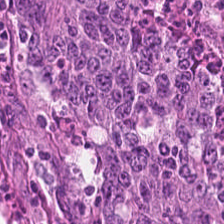0.5 µm/px · H&E · 224×224 pixel tile — Classification: colorectal adenocarcinoma.
